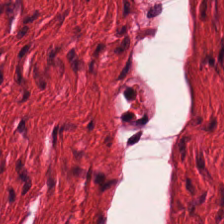Q: Identify the tissue.
A: This is muscularis.
